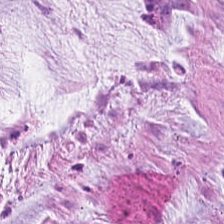FFPE tissue section; 224×224 pixel tile; hematoxylin-and-eosin stained section. Mucus.
